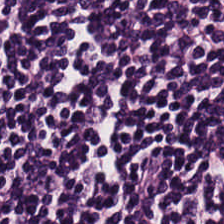Tissue = lymphoid infiltrate.
